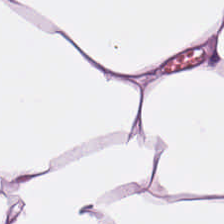Hematoxylin and eosin — Tissue type — adipocytes.
